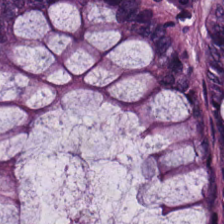20× equivalent magnification · formalin-fixed paraffin-embedded section · hematoxylin-and-eosin stained section — Tissue class = normal colon mucosa.
